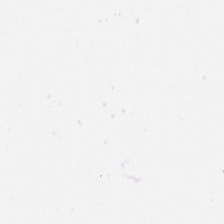224×224 px tile; FFPE; H&E stain. This field is background (no tissue).
